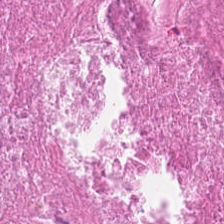Stain: H&E.
Tissue class: necrotic debris.
